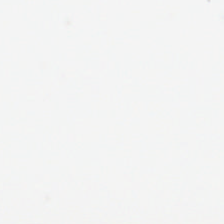H&E — Field content — no tissue.
